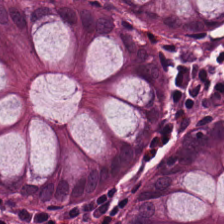This patch shows normal colon mucosa.
